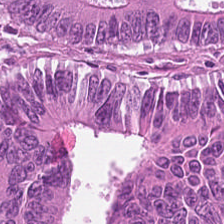Hematoxylin-and-eosin stained section.
This field is tumor epithelium.
